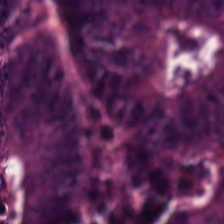Q: What type of tissue is this?
A: This is tumor epithelium.
